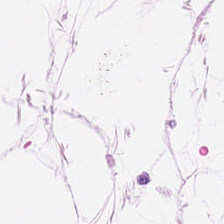Tissue class — adipose.
